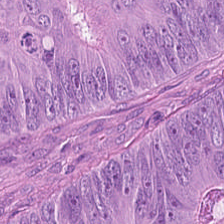{"tissue_type": "adenocarcinoma"}
